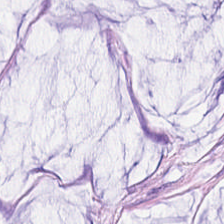Tissue type = mucus.
